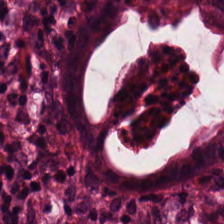Stain: H&E stain.
Acquisition: brightfield.
Tile size: 224×224 px patch.
Tissue type: non-neoplastic colon mucosa.
